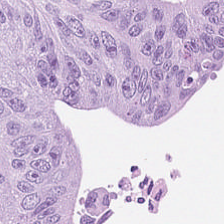Stain: H&E.
Acquisition: whole-slide-image patch.
Tile size: 224×224 px patch.
Predominant tissue: malignant epithelium.
